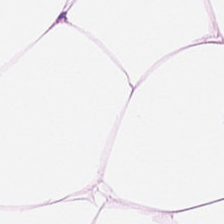H&E-stained tissue section — Fat tissue.
